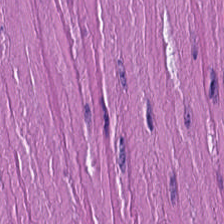H&E patch showing smooth muscle.
